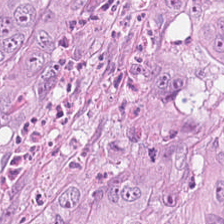H&E stain. 224×224 px patch.
Colorectal adenocarcinoma.
